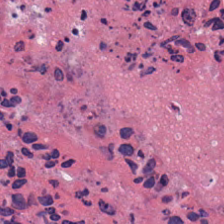Necrotic debris.
